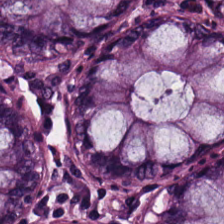Stain: hematoxylin and eosin.
Classification: normal colon mucosa.
